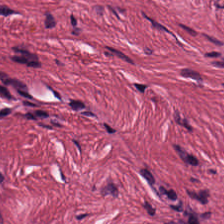H&E-stained tissue section showing desmoplastic stroma.
